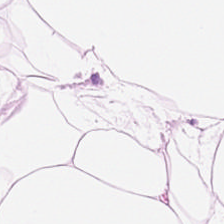Stain: H&E.
Predominant tissue: fat tissue.
